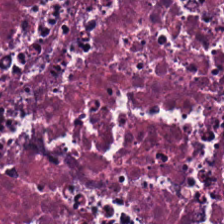Classification — cellular debris.
